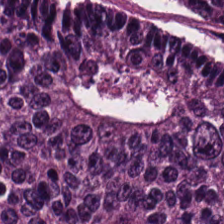Q: What does this patch show?
A: This is adenocarcinoma.
